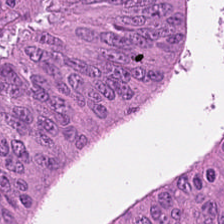Impression — tumor epithelium.
